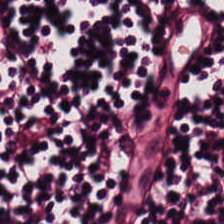0.5 µm per pixel. 224×224 px tile. Hematoxylin-and-eosin stained section — Q: What type of tissue is this?
A: Lymphoid infiltrate.
